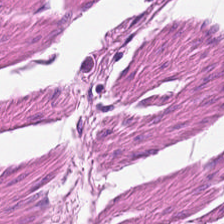0.5 microns per pixel · hematoxylin and eosin · 224×224 px tile.
This field is smooth-muscle tissue.
